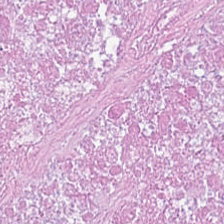H&E · brightfield · 224×224 px patch. This field is debris.
